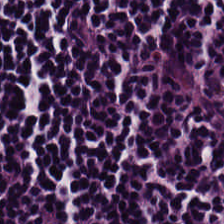Hematoxylin-and-eosin stained section · 0.5 microns per pixel. The tissue here is lymphocytic infiltrate.
